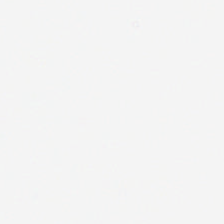Field content: no tissue.
